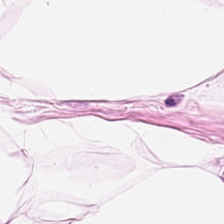H&E.
Classification = adipose.
